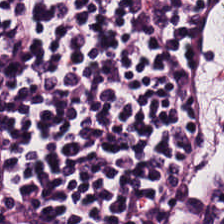H&E. 224×224 px tile. FFPE.
Q: What tissue is shown?
A: This is lymphocyte aggregate.
